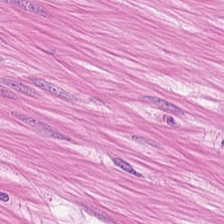Brightfield. 224×224 px patch. H&E stain. The tissue class is muscularis.
